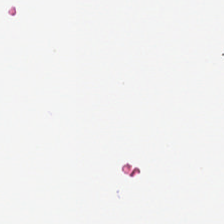Hematoxylin-and-eosin stained section · FFPE tissue section — This field is background (no tissue).
